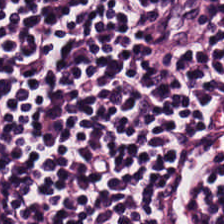Stain: H&E stain.
Tile size: 224×224 pixel tile.
Classification: lymphocyte aggregate.
